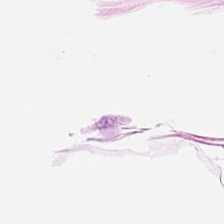Hematoxylin-and-eosin stained section.
This field is fat tissue.
